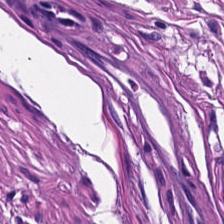Stain: hematoxylin and eosin.
Tile size: 224×224 px tile.
Preparation: FFPE.
Tissue class: smooth muscle.
